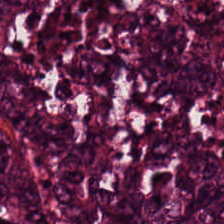This patch shows colorectal adenocarcinoma.
